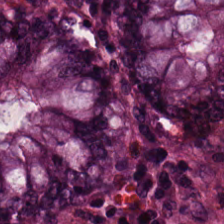Hematoxylin and eosin · 224×224 pixel tile. Q: What is shown in this field?
A: The field shows benign colonic mucosa.
